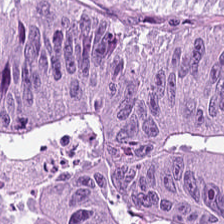H&E-stained tissue section; 224×224 pixel tile. Histology — colorectal adenocarcinoma epithelium.
